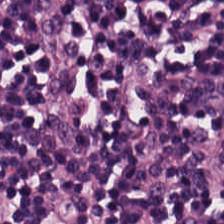Predominantly lymphoid infiltrate.
